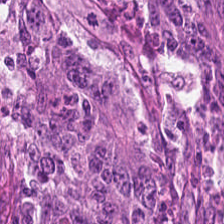Hematoxylin and eosin · whole-slide-image patch. Predominant tissue — colorectal adenocarcinoma.
